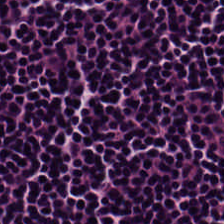This field is lymphocytic infiltrate.
